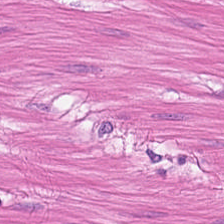224×224 px patch. H&E stain. Formalin-fixed paraffin-embedded section.
Classification = muscularis.
